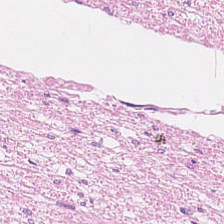FFPE tissue section · brightfield · H&E-stained tissue section. Classification — smooth-muscle tissue.
